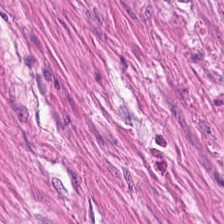224×224 px patch. Formalin-fixed paraffin-embedded section. H&E.
Predominant tissue: smooth-muscle tissue.
